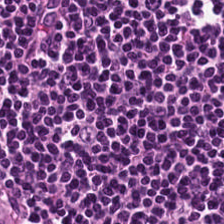Whole-slide-image patch; H&E-stained tissue section. Classification — lymphoid infiltrate.
